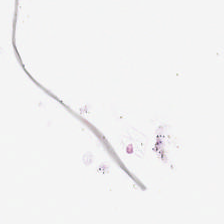0.5 microns per pixel; H&E-stained tissue section — Impression — background (no tissue).
